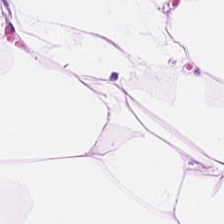0.5 µm per pixel; H&E stain — This field is adipocytes.
